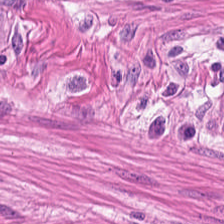224×224 px tile · H&E stain. Q: What type of tissue is this?
A: Smooth-muscle tissue.
